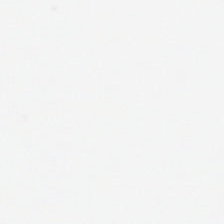Stain: hematoxylin-and-eosin stained section.
Content: background (no tissue).
